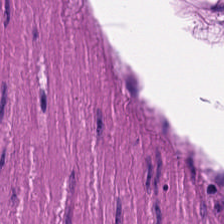224×224 px tile; H&E-stained tissue section — Classification — smooth muscle.
